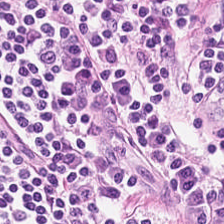Q: What type of tissue is this?
A: This is lymphocytic infiltrate.
